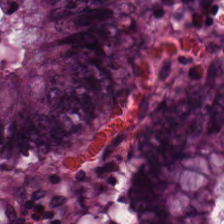Hematoxylin and eosin; 0.5 µm/px — Finding → normal colonic mucosa.
